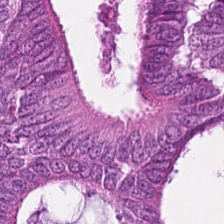H&E stain; 224×224 px patch; 0.5 microns per pixel. The tissue here is colorectal adenocarcinoma.
